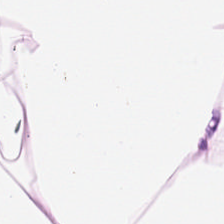Hematoxylin and eosin · 224×224 pixel tile — Predominantly adipocytes.
